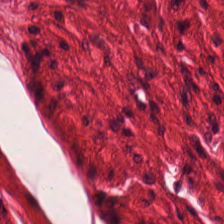FFPE; H&E stain — Showing smooth-muscle tissue.
